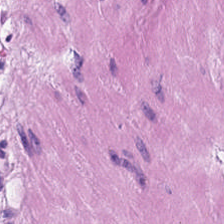H&E stain. {"tissue_type": "smooth-muscle tissue"}
